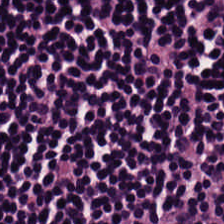Brightfield; 20× equivalent magnification; H&E stain — This field is lymphocytes.
